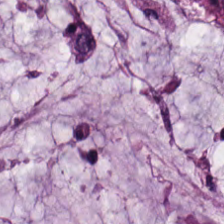Brightfield; hematoxylin and eosin.
Showing mucin.
